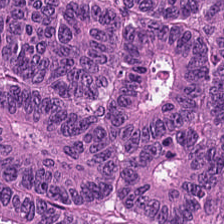H&E stain — Malignant epithelium.
